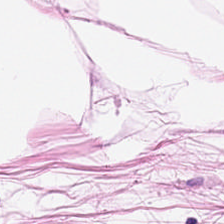H&E stain. Brightfield — Predominantly adipose tissue.
